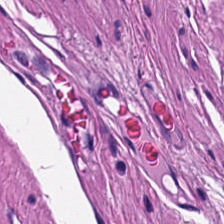Predominantly smooth muscle.
